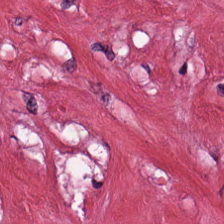Hematoxylin and eosin; 0.5 µm per pixel. This field is tumor-associated stroma.
